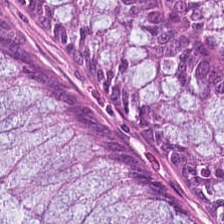H&E-stained section; the field shows normal colon mucosa.
